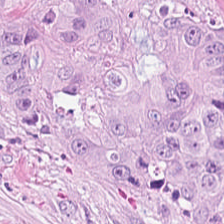Hematoxylin and eosin.
Q: What tissue type is shown here?
A: The field shows colorectal adenocarcinoma epithelium.
